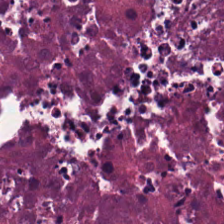H&E-stained tissue section. 0.5 µm per pixel — Tissue class = debris.
